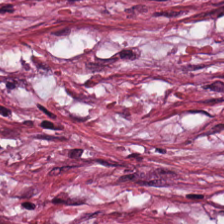Finding — tumor stroma.
